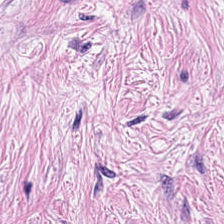Hematoxylin-and-eosin stained section.
{"tissue_type": "cancer-associated stroma"}
